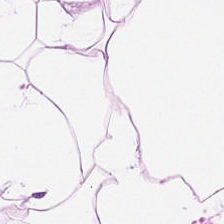Stain: hematoxylin-and-eosin stained section.
Tissue: fat tissue.
